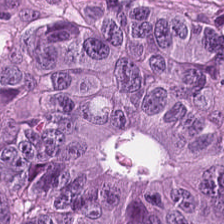H&E — Q: What is the predominant tissue type?
A: The field shows adenocarcinoma.
